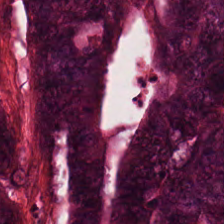The predominant tissue is colorectal adenocarcinoma epithelium.
